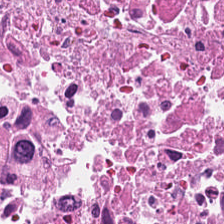FFPE tissue section; whole-slide-image patch; H&E stain — Histology — cellular debris.
